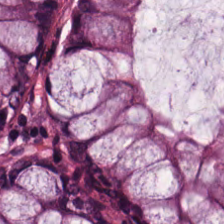0.5 µm/px; hematoxylin and eosin; 224×224 px patch.
Q: What tissue type is shown here?
A: This is normal colon mucosa.
